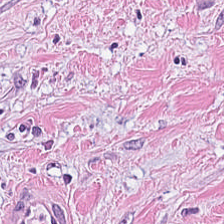H&E-stained section; the field shows cancer-associated stroma.
